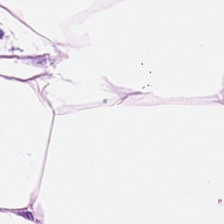Hematoxylin-and-eosin stained section. The predominant tissue is adipose.
